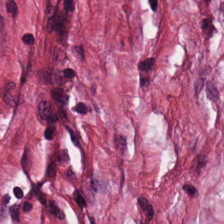Tissue — desmoplastic stroma.
